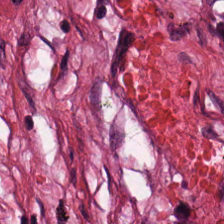Hematoxylin-and-eosin stained section.
Desmoplastic stroma.
